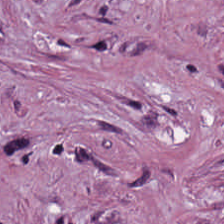H&E-stained tissue section.
The tissue here is tumor stroma.
